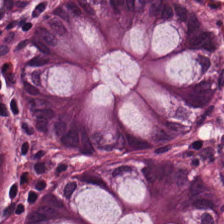Non-neoplastic colon mucosa.
